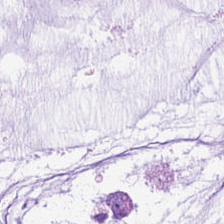FFPE tissue section. H&E stain. Impression — mucus.
